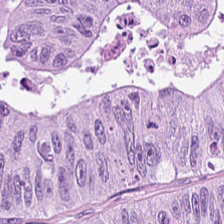Hematoxylin and eosin.
Impression → adenocarcinoma.
